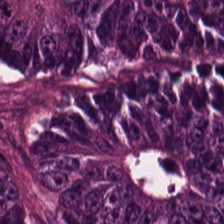Hematoxylin and eosin — This patch shows malignant epithelium.
